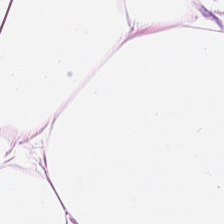H&E-stained tissue section — Q: What does this patch show?
A: The field shows adipose tissue.
